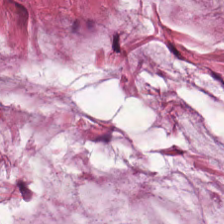Hematoxylin and eosin. The classification is extracellular mucin.
